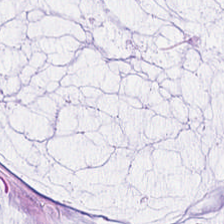H&E stain.
Q: What is shown in this field?
A: Mucin.
